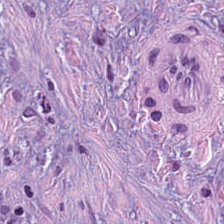Hematoxylin-and-eosin stained section. Showing desmoplastic stroma.
